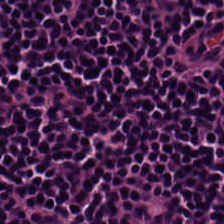Hematoxylin-and-eosin stained section. Showing lymphocytes.
